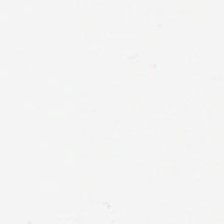Q: Classify this patch.
A: It is no tissue.
